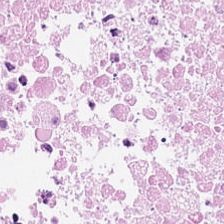Stain: H&E stain.
Resolution: 0.5 µm per pixel.
Tile size: 224×224 px tile.
Tissue class: necrotic debris.
